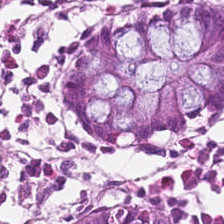Normal colonic mucosa.
